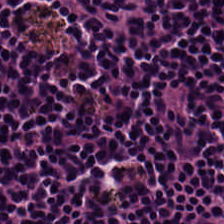H&E stain. Showing lymphocytes.
